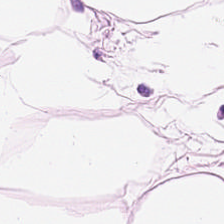H&E-stained tissue section.
This field is fat tissue.
